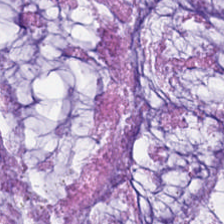Hematoxylin-and-eosin stained section.
Mucin.
